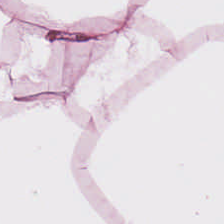Stain: H&E-stained tissue section.
Tile size: 224×224 pixel tile.
Predominant tissue: adipose tissue.
